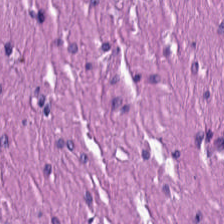Predominant tissue: muscularis.
